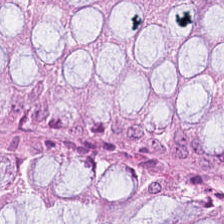WSI patch; H&E — Histology — non-neoplastic colon mucosa.
